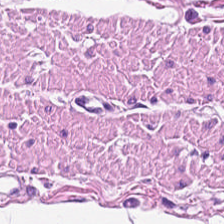Q: Identify the tissue.
A: It is muscularis.
